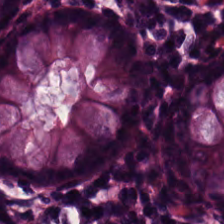Impression — benign colonic mucosa.
